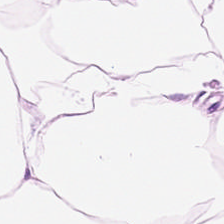H&E-stained tissue section · brightfield microscopy.
Showing adipocytes.
